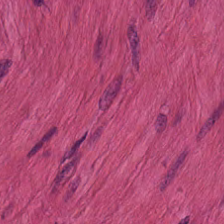0.5 µm per pixel; 224×224 px tile; hematoxylin-and-eosin stained section.
Predominantly smooth-muscle tissue.
